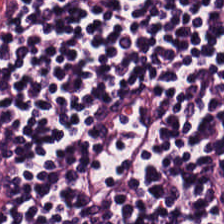H&E stain. Predominantly lymphocytes.
